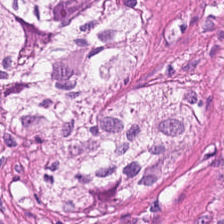FFPE tissue section; hematoxylin and eosin; 20× equivalent magnification.
Classification = muscularis.
